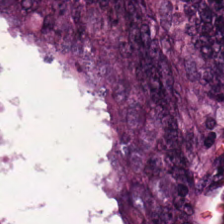H&E-stained tissue section.
The tissue here is colorectal adenocarcinoma epithelium.
